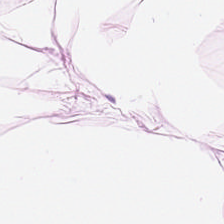FFPE; hematoxylin-and-eosin stained section. This patch shows fat tissue.
